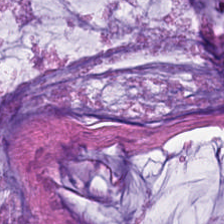The tissue here is extracellular mucin.
